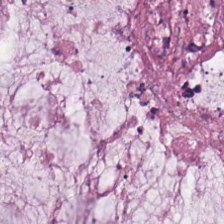Q: What does this patch show?
A: Extracellular mucin.
